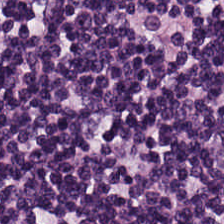0.5 µm per pixel · hematoxylin-and-eosin stained section — The predominant tissue is lymphocytic infiltrate.
